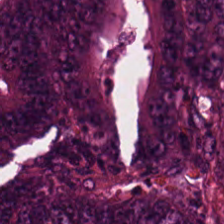Predominantly colorectal adenocarcinoma.
